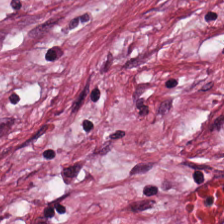Histology — cancer-associated stroma.
